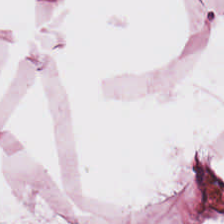H&E stain. 0.5 µm/px — Q: What type of tissue is this?
A: It is adipose.
